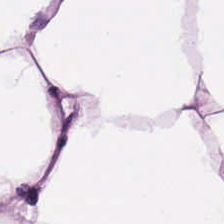224×224 px patch. H&E.
Predominantly adipose tissue.
